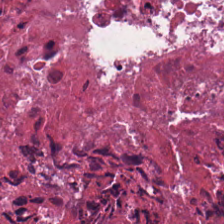Q: What type of tissue is this?
A: This is cellular debris.
